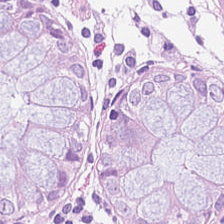Brightfield · H&E-stained tissue section — Tissue type: non-neoplastic colon mucosa.
